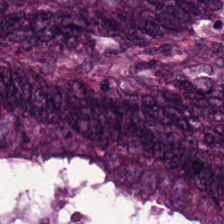Stain: H&E-stained tissue section.
Tissue class: malignant epithelium.
